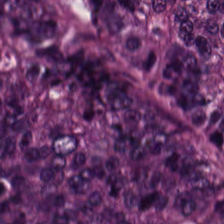Hematoxylin-and-eosin stained section.
Impression → colorectal adenocarcinoma.
